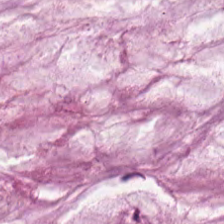H&E stain.
This field is mucus.
